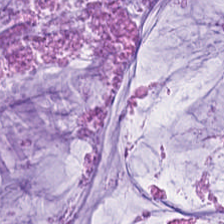Impression — extracellular mucin.
